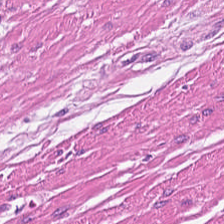Hematoxylin-and-eosin stained section. Brightfield microscopy. FFPE tissue section. Tissue type = muscularis.
